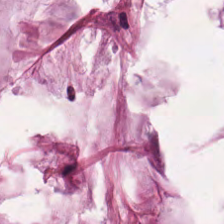Stain: H&E-stained tissue section.
Preparation: FFPE.
Predominant tissue: extracellular mucin.
